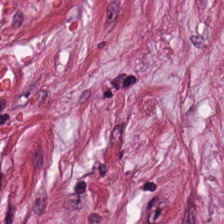The predominant tissue is cancer-associated stroma.
